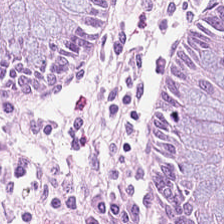Predominant tissue: normal colon mucosa.
